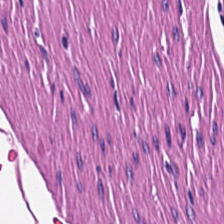224×224 px tile. Hematoxylin and eosin. FFPE tissue section — Showing smooth muscle.
